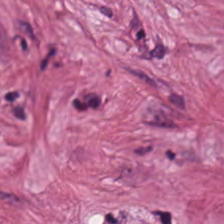H&E-stained tissue section.
Q: What type of tissue is this?
A: This is desmoplastic stroma.
